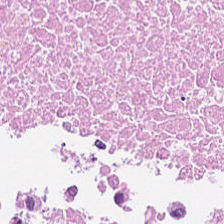H&E-stained tissue section; 0.5 µm per pixel; FFPE tissue section. Predominant tissue — debris.
